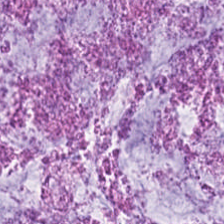H&E-stained tissue section — Q: What is shown in this field?
A: Mucin.
